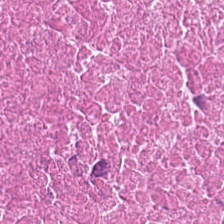H&E-stained tissue section showing cellular debris.
